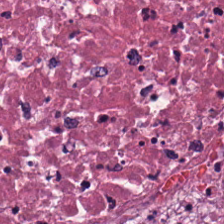Q: Identify the tissue.
A: This is debris.
